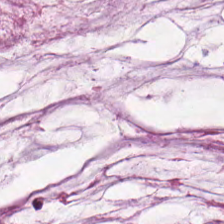Stain: H&E stain.
Tissue type: extracellular mucin.
